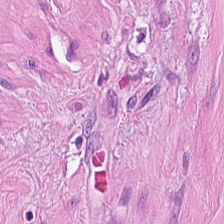{"tissue_type": "smooth muscle"}
